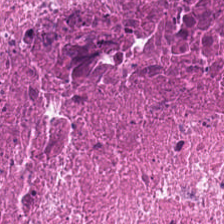Finding → necrotic debris.
